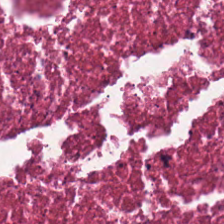Hematoxylin-and-eosin stained section. 0.5 microns per pixel — The tissue is debris.
